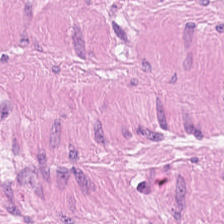Hematoxylin and eosin. Q: What does this patch show?
A: The field shows muscularis.
